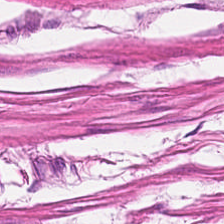224×224 px patch; H&E. Q: Identify the tissue.
A: Smooth muscle.
